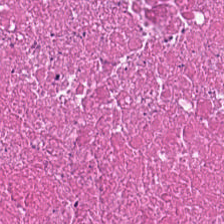The tissue here is debris.
